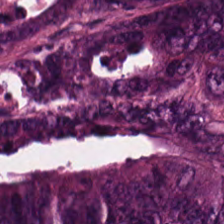WSI patch · hematoxylin-and-eosin stained section.
Q: What is shown here?
A: The field shows adenocarcinoma.
